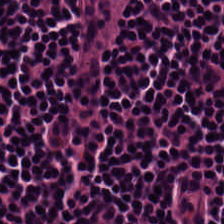H&E stain; 224×224 pixel tile.
The tissue here is lymphocytic infiltrate.
